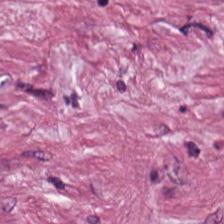H&E stain. This field is tumor-associated stroma.
